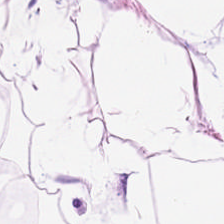{"tissue_type": "adipose tissue"}
